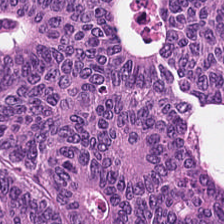0.5 microns per pixel. Hematoxylin-and-eosin stained section. The predominant tissue is colorectal adenocarcinoma.
